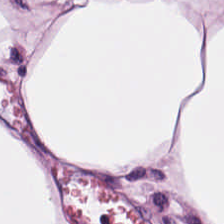20× equivalent magnification; H&E stain; formalin-fixed paraffin-embedded section.
Q: Identify the tissue.
A: Adipose.
